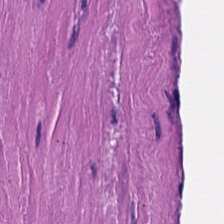Hematoxylin-and-eosin stained section. Q: What is the predominant tissue type?
A: Smooth-muscle tissue.
